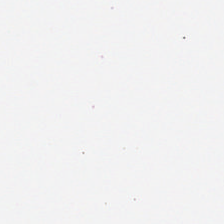224×224 px patch; 0.5 µm/px; H&E.
This patch shows no tissue.
